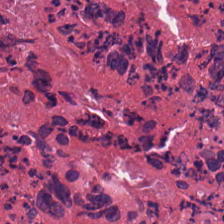FFPE tissue section · hematoxylin and eosin. Showing necrotic debris.
